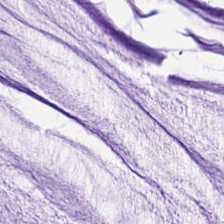H&E.
This patch shows mucin.
